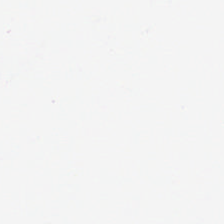Hematoxylin and eosin.
Content = background.
